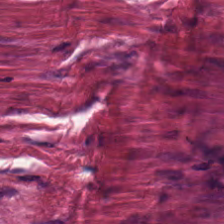Tissue class — tumor-associated stroma.
